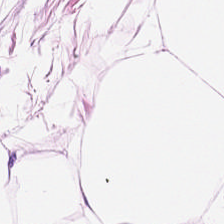This field is adipose tissue.
